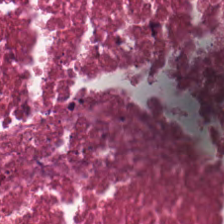H&E-stained tissue section.
Q: What tissue is shown?
A: This is debris.
